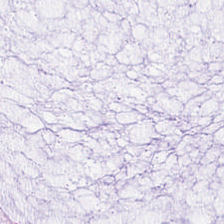FFPE tissue section. H&E stain — This field is mucus.
